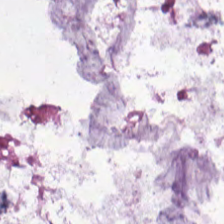Stain: hematoxylin-and-eosin stained section.
Preparation: FFPE.
Tissue: extracellular mucin.
